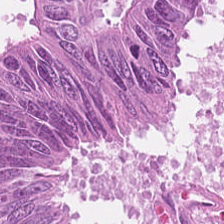224×224 pixel tile; H&E stain. Tissue class — adenocarcinoma.
